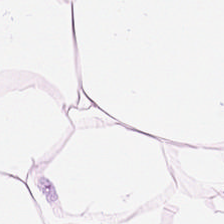H&E-stained tissue section. Predominant tissue: adipose.
